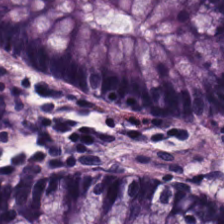Hematoxylin-and-eosin stained section; 20× equivalent magnification — Q: Identify the tissue.
A: This is normal colonic mucosa.
